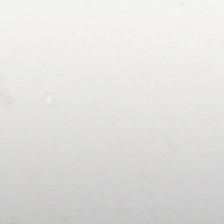Formalin-fixed paraffin-embedded section; hematoxylin-and-eosin stained section — Histology — background.
